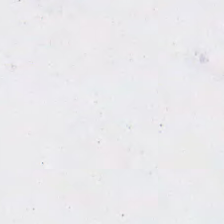Histology → empty background.
